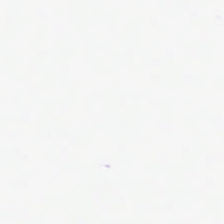H&E stain — Content — background.
